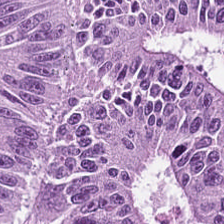Stain: hematoxylin-and-eosin stained section.
Tissue class: malignant epithelium.
